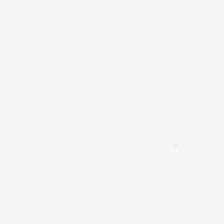Whole-slide-image patch · hematoxylin and eosin. This field is background (no tissue).
